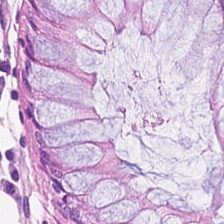Hematoxylin-and-eosin stained section.
Showing non-neoplastic colon mucosa.
